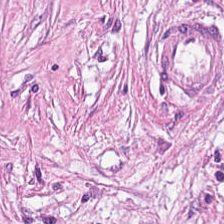Q: What tissue type is shown here?
A: The field shows cancer-associated stroma.
